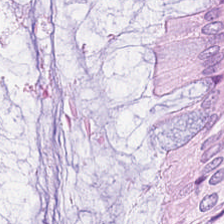0.5 microns per pixel; 224×224 pixel tile; H&E-stained tissue section.
{"tissue_type": "non-neoplastic colon mucosa"}
